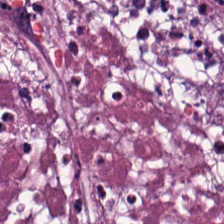H&E-stained tissue section; 224×224 px patch. Tissue class — debris.
